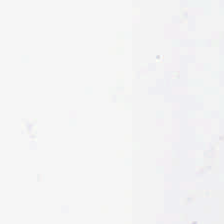H&E — Background — no tissue in this field.
